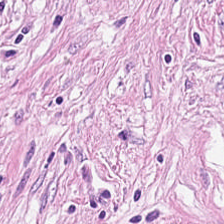H&E.
Q: What does this patch show?
A: This is tumor stroma.
